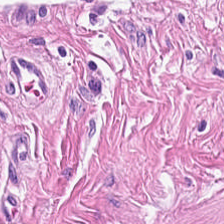Predominantly smooth-muscle tissue.
